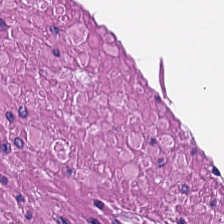224×224 px patch · hematoxylin-and-eosin stained section · whole-slide-image patch. Tissue = smooth-muscle tissue.
